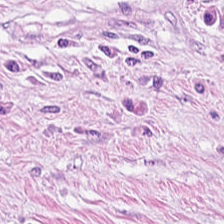H&E.
Predominant tissue: tumor stroma.
